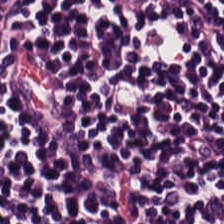Brightfield. Hematoxylin and eosin. Lymphocyte aggregate.
